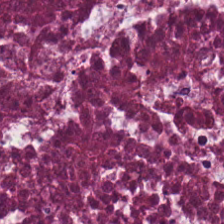Tissue = necrotic debris.
